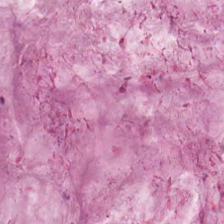Hematoxylin-and-eosin section: mucin.
